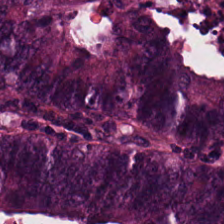FFPE tissue section. H&E. 224×224 px patch — Showing tumor epithelium.
